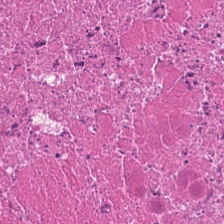FFPE tissue section; 0.5 µm/px; hematoxylin and eosin.
Tissue — cellular debris.
